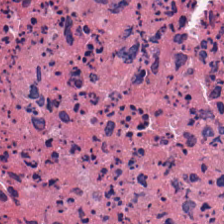Stain: H&E.
Acquisition: brightfield microscopy.
Preparation: FFPE tissue section.
Classification: cellular debris.
